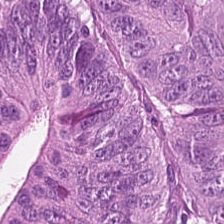Stain: H&E-stained tissue section.
Resolution: 0.5 µm per pixel.
Preparation: formalin-fixed paraffin-embedded section.
Classification: tumor epithelium.
